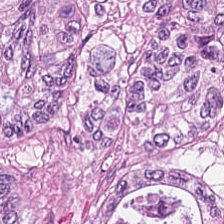Histology → colorectal adenocarcinoma.
